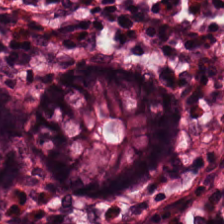H&E. Q: What is shown here?
A: Normal colon mucosa.
